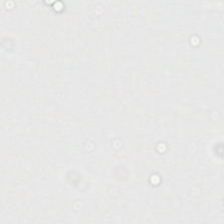Q: What is shown in this field?
A: It is background.
